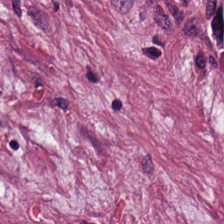FFPE tissue section. Whole-slide-image patch. H&E — Tissue type — desmoplastic stroma.
